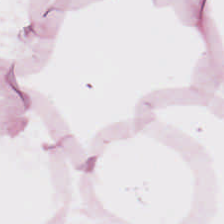Hematoxylin and eosin.
Showing adipocytes.
